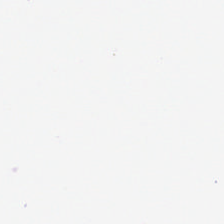H&E.
Field content: empty background.
